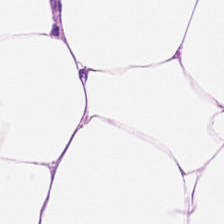H&E-stained tissue section; FFPE. The tissue here is adipocytes.
